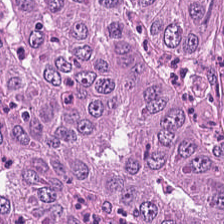Hematoxylin-and-eosin stained section — Malignant epithelium.
